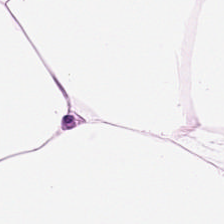Hematoxylin and eosin.
Q: What is the predominant tissue type?
A: This is adipose tissue.
